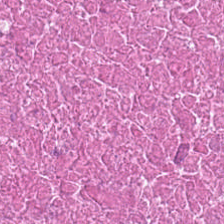Stain: H&E-stained tissue section.
Tissue: debris.
